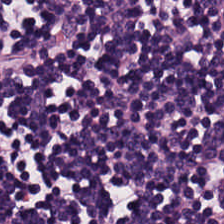Tissue class — lymphocyte aggregate.
